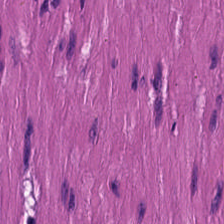H&E stain.
Finding → smooth-muscle tissue.
